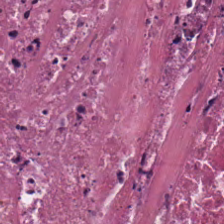Hematoxylin-and-eosin stained section. The tissue class is necrotic debris.
